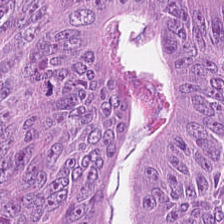H&E stain — Q: What type of tissue is this?
A: Adenocarcinoma.
